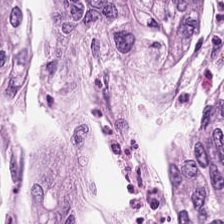224×224 pixel tile · hematoxylin and eosin. The tissue type is malignant epithelium.
